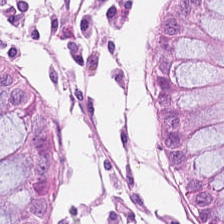Stain: H&E-stained tissue section.
Tissue class: benign colonic mucosa.
